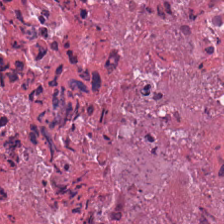FFPE · hematoxylin-and-eosin stained section — Classification — necrotic debris.
